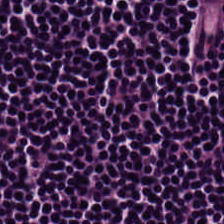Stain: H&E-stained tissue section.
Predominant tissue: lymphocytes.
